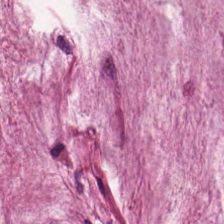224×224 px tile · H&E.
This field is extracellular mucin.
